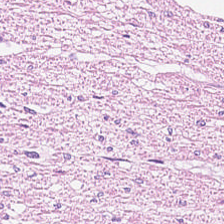Hematoxylin-and-eosin stained section — Tissue type = muscularis.
